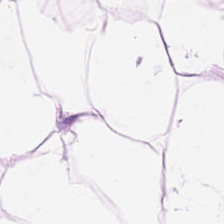This patch shows fat tissue.
